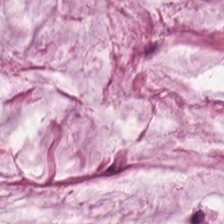0.5 microns per pixel · H&E stain · formalin-fixed paraffin-embedded section.
The predominant tissue is mucus.
